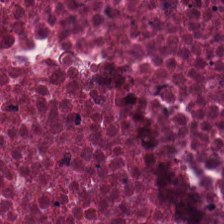Hematoxylin and eosin — {"tissue_type": "necrotic debris"}
